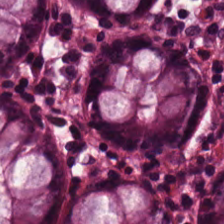H&E. Q: Identify the tissue.
A: Normal colonic mucosa.
